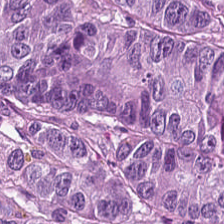Q: What tissue is shown?
A: This is malignant epithelium.
